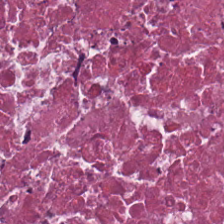H&E — The classification is necrotic debris.
